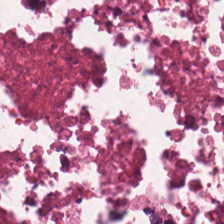0.5 µm per pixel; H&E stain. Predominantly debris.
